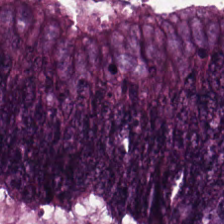Showing colorectal adenocarcinoma epithelium.
